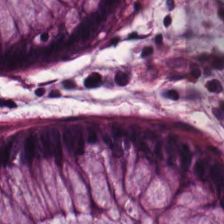H&E. The tissue is normal colonic mucosa.
